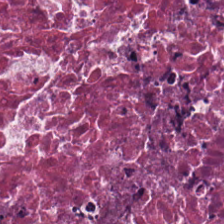H&E-stained tissue section. Tissue class = cellular debris.
